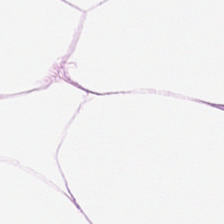H&E-stained tissue section. Tissue = adipose tissue.
